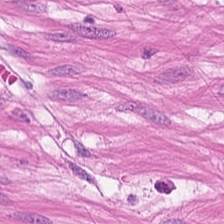Stain: H&E.
Predominant tissue: smooth-muscle tissue.
